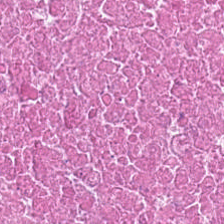Brightfield. H&E-stained tissue section. 224×224 px tile.
Predominant tissue — necrotic debris.
